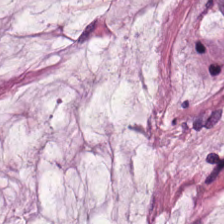Stain: hematoxylin and eosin.
Tissue type: mucin.
